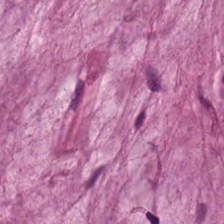This patch shows mucin.
